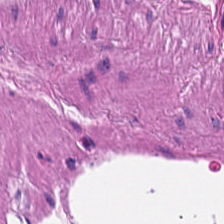Q: Identify the tissue.
A: Muscularis.
